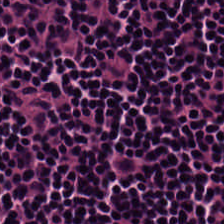Classification — lymphocyte aggregate.
